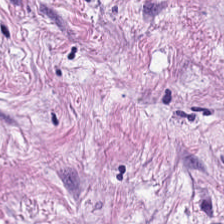Stain: hematoxylin-and-eosin stained section.
Classification: desmoplastic stroma.
